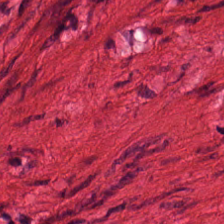Hematoxylin and eosin; 0.5 microns per pixel. This field is muscularis.
